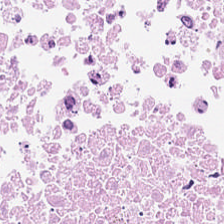H&E patch showing cellular debris.
